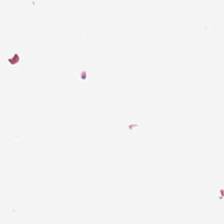Q: Classify this patch.
A: It is background.
